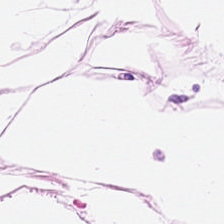FFPE; H&E-stained tissue section; whole-slide-image patch — This field is fat tissue.
